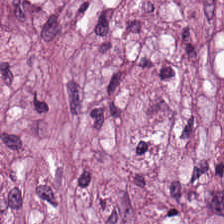Hematoxylin-and-eosin stained section.
The tissue here is tumor stroma.
